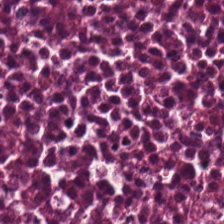Tissue class — necrotic debris.
